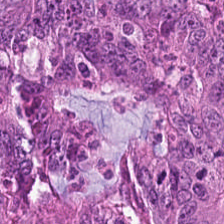Impression — tumor epithelium.
